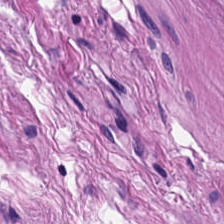Impression — smooth muscle.
